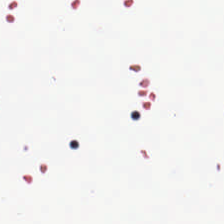Stain: H&E stain.
Field content: no tissue.
